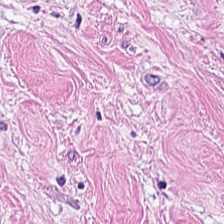Q: What is shown in this field?
A: The field shows tumor stroma.
